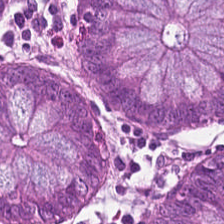Q: What type of tissue is this?
A: This is normal colonic mucosa.
